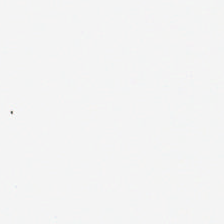Hematoxylin and eosin — Histology → empty background.
